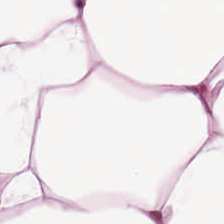Hematoxylin-and-eosin section: adipose tissue.
